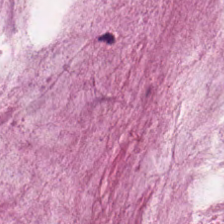224×224 px tile · hematoxylin and eosin.
This field is mucin.
